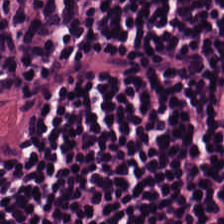H&E-stained tissue section.
The predominant tissue is lymphocyte aggregate.
